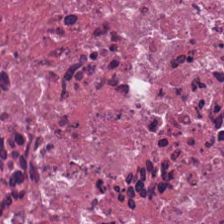Stain: hematoxylin and eosin.
Tissue class: debris.
